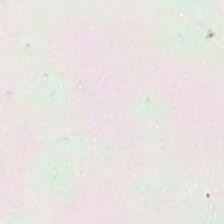Hematoxylin-and-eosin stained section — Empty field — background.
